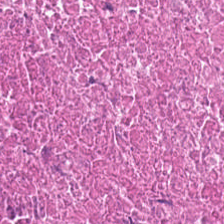H&E stain. Formalin-fixed paraffin-embedded section — This patch shows necrotic debris.
